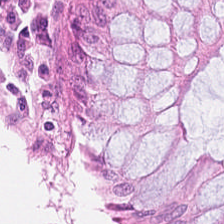Stain: hematoxylin-and-eosin stained section.
Tile size: 224×224 pixel tile.
Tissue: normal colon mucosa.
